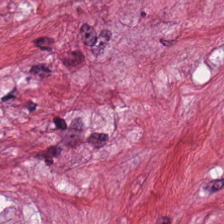Hematoxylin-and-eosin stained section. Tissue type: cancer-associated stroma.
